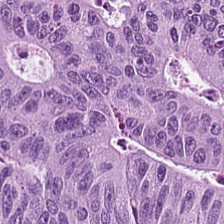H&E.
Q: What tissue type is shown here?
A: It is tumor epithelium.
